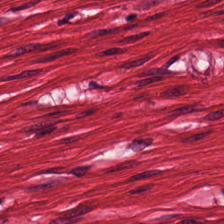The classification is muscularis.
